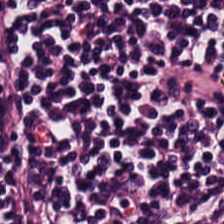This patch shows lymphocytes.
